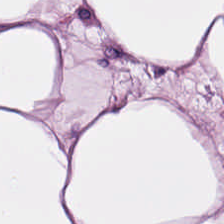0.5 microns per pixel · hematoxylin and eosin · FFPE tissue section.
The predominant tissue is adipose.
